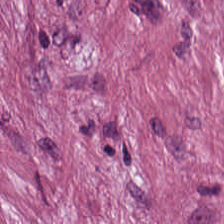Stain: H&E stain.
Tissue: desmoplastic stroma.
